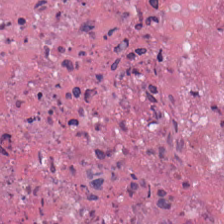Hematoxylin-and-eosin stained section.
The tissue class is debris.
